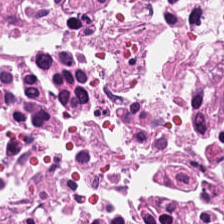0.5 microns per pixel; H&E stain — This patch shows debris.
